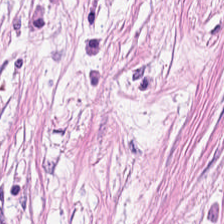H&E stain · 224×224 px tile. Q: Classify this patch.
A: This is desmoplastic stroma.
